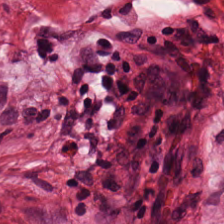H&E patch showing muscularis.
